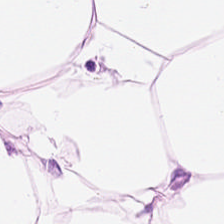H&E · FFPE — The predominant tissue is adipocytes.
